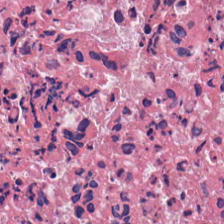Hematoxylin-and-eosin stained section — The predominant tissue is necrotic debris.
